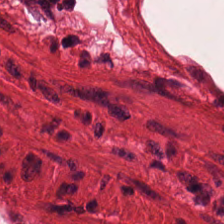Brightfield microscopy · H&E-stained tissue section — The predominant tissue is smooth muscle.
